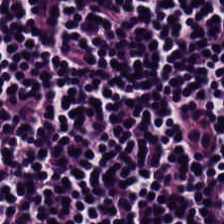Stain: H&E-stained tissue section.
Tissue type: lymphocytes.
